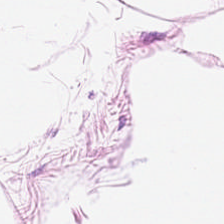Hematoxylin-and-eosin section: fat tissue.
